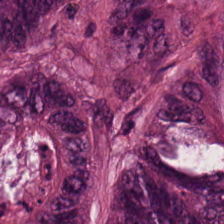Q: What tissue is shown?
A: It is malignant epithelium.
